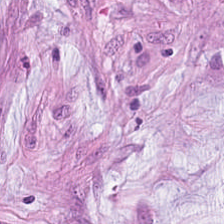Stain: H&E.
Tissue class: mucus.
